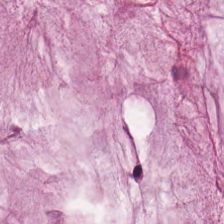Predominant tissue — mucus.
